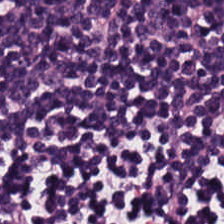H&E-stained tissue section.
Lymphocytes.
